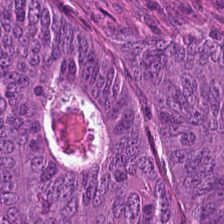H&E · 224×224 px patch — Classification — colorectal adenocarcinoma.
